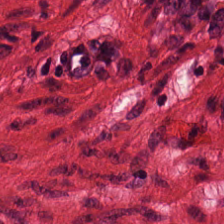H&E stain; 224×224 pixel tile.
Q: What tissue is shown?
A: This is muscularis.
